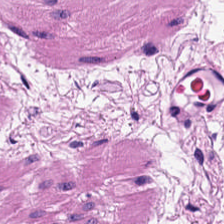Stain: H&E.
Classification: smooth-muscle tissue.
